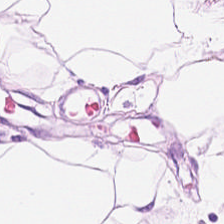Brightfield microscopy. H&E-stained tissue section.
Adipocytes.
